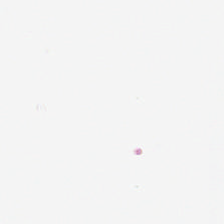Hematoxylin and eosin. Q: Classify this patch.
A: Background.
